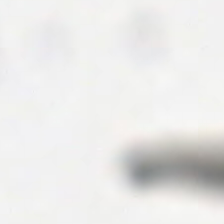H&E-stained tissue section. Histology — empty background.
